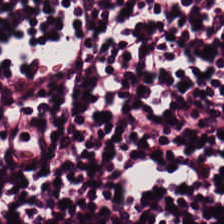0.5 microns per pixel; H&E stain. Lymphocytes.
